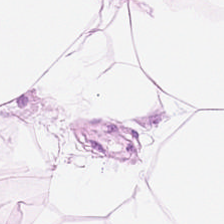Stain: H&E-stained tissue section.
Classification: adipose.
